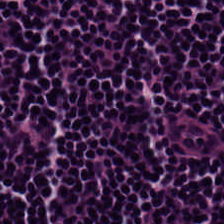H&E. The predominant tissue is lymphocytes.
